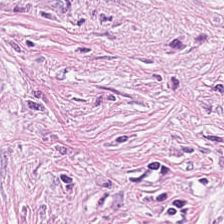Hematoxylin and eosin · 224×224 px tile. The tissue here is cancer-associated stroma.
